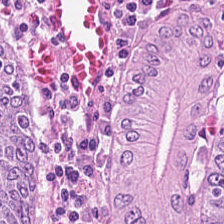Predominantly tumor epithelium.
